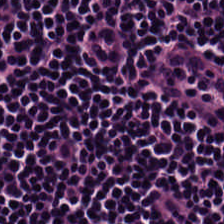Stain: hematoxylin-and-eosin stained section.
Resolution: 0.5 µm/px.
Tile size: 224×224 pixel tile.
Tissue: lymphocytes.
